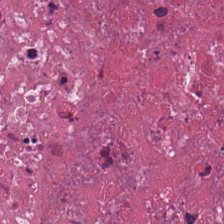Hematoxylin-and-eosin stained section. Impression → cellular debris.
